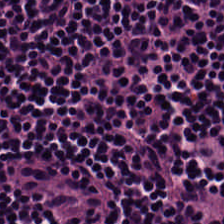{"tissue_type": "lymphocyte aggregate"}
